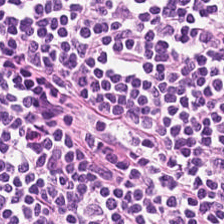Hematoxylin-and-eosin stained section — The predominant tissue is lymphocyte aggregate.
